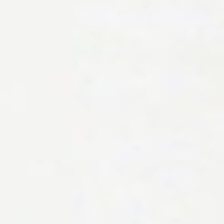H&E-stained tissue section — Background.
